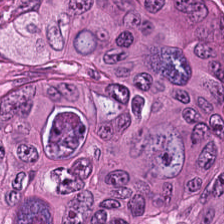H&E-stained tissue section.
The tissue here is colorectal adenocarcinoma.
